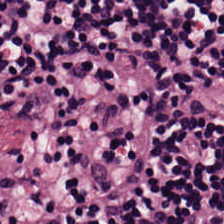Hematoxylin and eosin. 224×224 pixel tile. This patch shows lymphocytic infiltrate.
